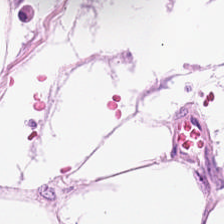Brightfield microscopy. FFPE tissue section. Hematoxylin-and-eosin stained section.
Finding — adipocytes.
